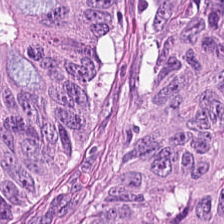Hematoxylin and eosin — This field is malignant epithelium.
